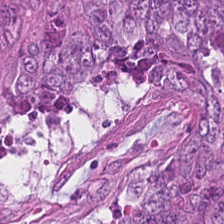Stain: H&E stain.
Predominant tissue: colorectal adenocarcinoma.
